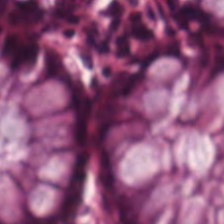20× equivalent magnification · hematoxylin and eosin · whole-slide-image patch.
Showing non-neoplastic colon mucosa.
